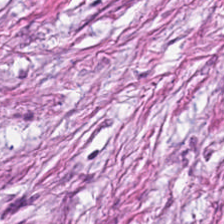Hematoxylin and eosin. Predominantly tumor stroma.
